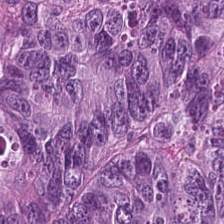Hematoxylin-and-eosin stained section. Impression — adenocarcinoma.
